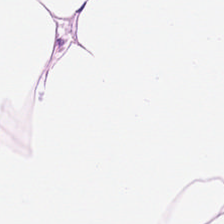Stain: H&E.
Classification: adipocytes.
